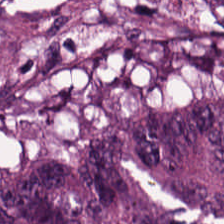H&E stain.
Predominantly tumor epithelium.
